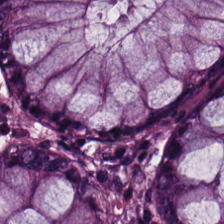224×224 pixel tile · hematoxylin and eosin — The predominant tissue is normal colonic mucosa.
